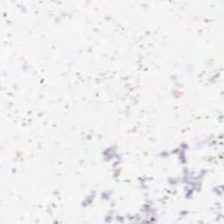H&E-stained tissue section · whole-slide-image patch · 0.5 µm per pixel. Background — no tissue in this field.
